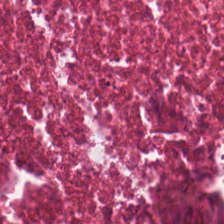This patch shows debris.
